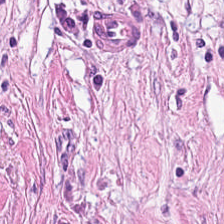Hematoxylin and eosin.
Impression → tumor-associated stroma.
